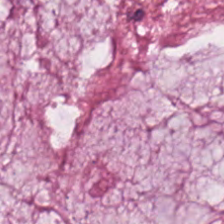Hematoxylin and eosin.
Classification = mucin.
